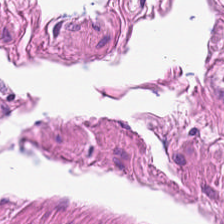Tissue class = smooth-muscle tissue.
